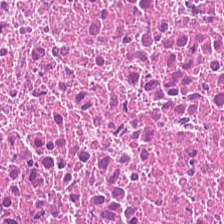Stain: hematoxylin-and-eosin stained section.
Tissue class: necrotic debris.
